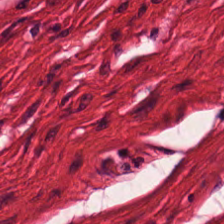H&E-stained tissue section.
The tissue is smooth-muscle tissue.
